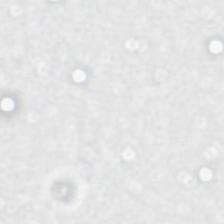Hematoxylin-and-eosin stained section. 224×224 pixel tile. The field content is background (no tissue).
